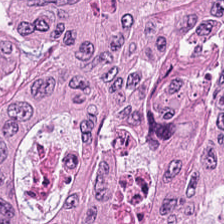0.5 µm per pixel; hematoxylin and eosin.
This patch shows colorectal adenocarcinoma.
